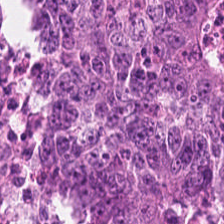224×224 px patch · H&E. {"tissue_type": "colorectal adenocarcinoma"}
